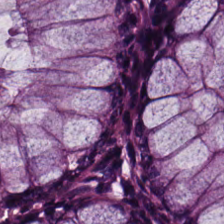Stain: hematoxylin and eosin.
Tissue: normal colon mucosa.
